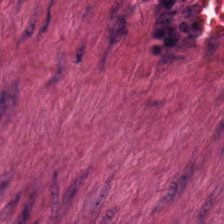Hematoxylin and eosin.
Q: What is shown here?
A: It is smooth-muscle tissue.
